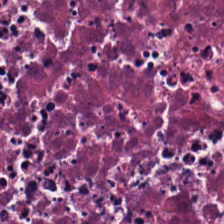Hematoxylin-and-eosin stained section. Tissue type: necrotic debris.
